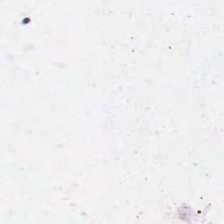Hematoxylin-and-eosin stained section. 224×224 px tile.
Impression — no tissue.
